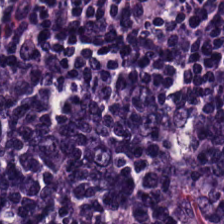{"tissue_type": "lymphocytic infiltrate"}
